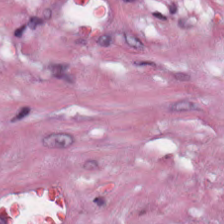H&E. Tissue class — cancer-associated stroma.
